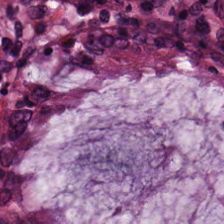Predominantly normal colon mucosa.
